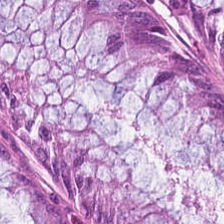H&E; FFPE tissue section. Tissue: benign colonic mucosa.
